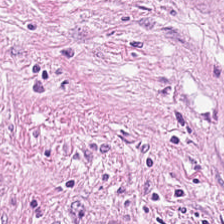Hematoxylin-and-eosin stained section. Tissue type = cancer-associated stroma.
